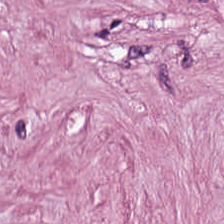H&E stain. Whole-slide-image patch. 0.5 µm per pixel. Finding — cancer-associated stroma.
